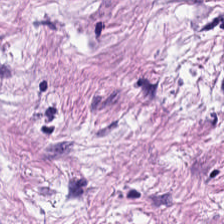H&E-stained tissue section · formalin-fixed paraffin-embedded section.
Q: Classify this patch.
A: Desmoplastic stroma.
